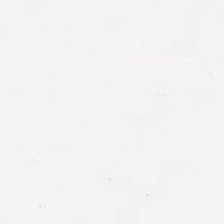H&E-stained tissue section.
This field is background (no tissue).
